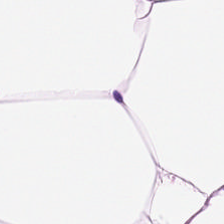Stain: H&E-stained tissue section.
Predominant tissue: adipocytes.
